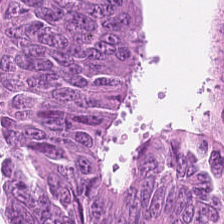224×224 px tile. H&E-stained tissue section — Q: What tissue type is shown here?
A: Malignant epithelium.
